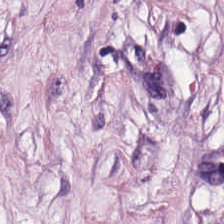Hematoxylin-and-eosin stained section.
Impression — tumor stroma.
